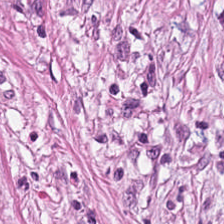Showing tumor stroma.
